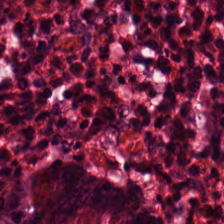H&E stain — Predominant tissue — non-neoplastic colon mucosa.
